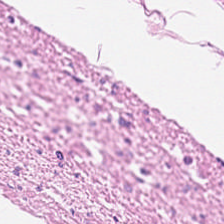Hematoxylin-and-eosin stained section.
Histology — smooth muscle.
